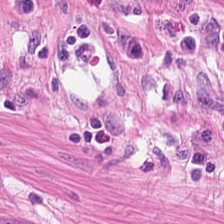Tissue: muscularis.
